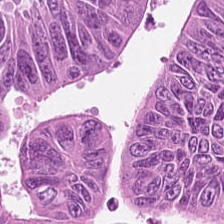0.5 microns per pixel · hematoxylin-and-eosin stained section — Impression → malignant epithelium.
